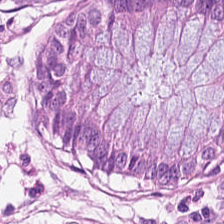Stain: H&E.
Preparation: FFPE.
Tissue type: normal colon mucosa.
